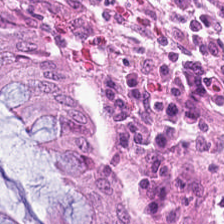The tissue here is non-neoplastic colon mucosa.
